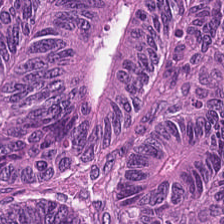Tissue: malignant epithelium.
